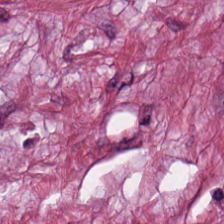H&E stain.
{"tissue_type": "tumor-associated stroma"}
